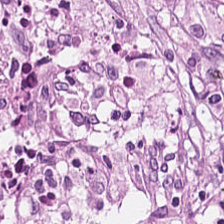224×224 pixel tile. H&E — Showing tumor stroma.
